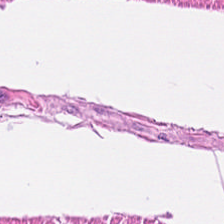H&E stain.
Predominantly smooth muscle.
